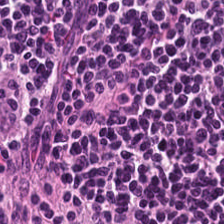H&E stain — Classification: lymphocytic infiltrate.
